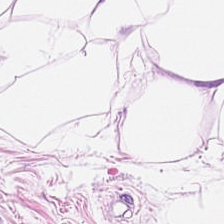H&E-stained tissue section · 224×224 pixel tile — Finding → adipocytes.
